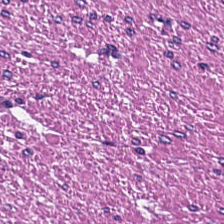Hematoxylin and eosin. This patch shows smooth-muscle tissue.
